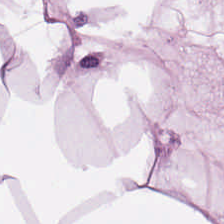Impression — adipose tissue.
